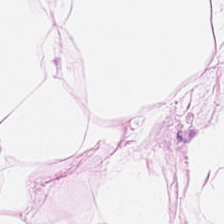WSI patch · H&E stain · 224×224 pixel tile — Impression — adipose.
